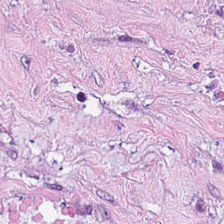Impression — tumor stroma.
